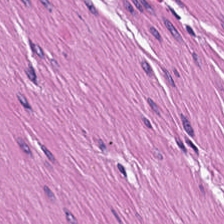H&E; brightfield microscopy; formalin-fixed paraffin-embedded section.
{"tissue_type": "muscularis"}
